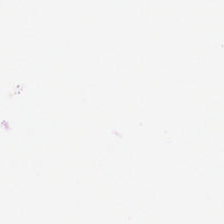Stain: H&E stain.
Content: no tissue.
